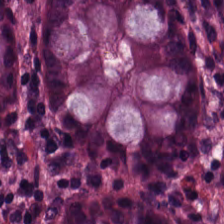H&E · 224×224 px tile — Classification — normal colonic mucosa.
